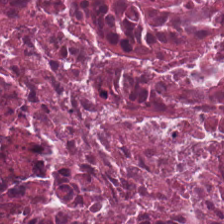H&E-stained tissue section · 0.5 µm per pixel · 224×224 px tile.
Classification — cellular debris.
